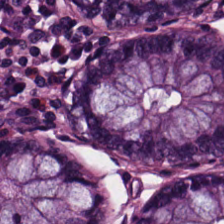The classification is normal colon mucosa.
